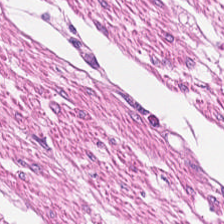H&E; FFPE.
Classification — muscularis.
